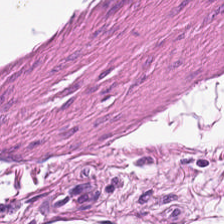Formalin-fixed paraffin-embedded section · hematoxylin and eosin — Q: What is shown here?
A: This is muscularis.
